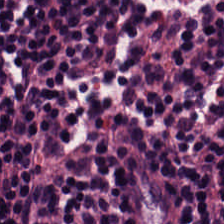Hematoxylin-and-eosin stained section · brightfield microscopy · 224×224 pixel tile.
{"tissue_type": "lymphoid infiltrate"}
